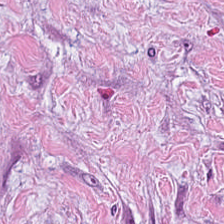H&E-stained tissue section.
{"tissue_type": "cancer-associated stroma"}
